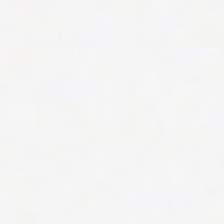Stain: H&E.
Classification: background.
